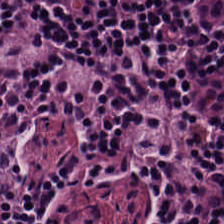The tissue class is lymphocytic infiltrate.
